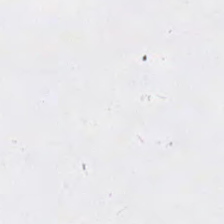Hematoxylin and eosin; 0.5 µm/px — Background — no tissue in this field.
